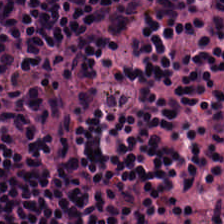H&E-stained tissue section · 0.5 µm per pixel · 224×224 px tile. Showing lymphoid infiltrate.
